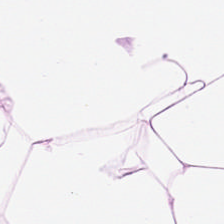0.5 microns per pixel; H&E-stained tissue section. The tissue here is adipocytes.
